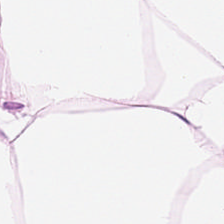Hematoxylin-and-eosin stained section. The tissue class is fat tissue.
